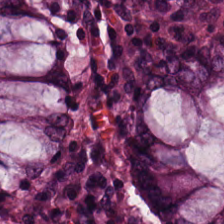Brightfield microscopy; H&E. Q: Classify this patch.
A: The field shows normal colonic mucosa.
